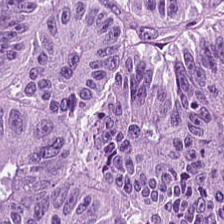Stain: H&E-stained tissue section.
Predominant tissue: colorectal adenocarcinoma.
